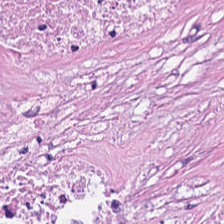Q: What tissue is shown?
A: The field shows necrotic debris.
